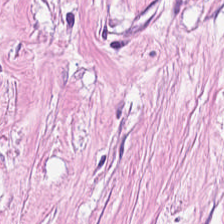Impression → tumor stroma.
